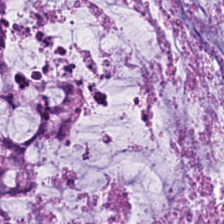H&E. 0.5 microns per pixel. Brightfield microscopy.
Showing mucus.
